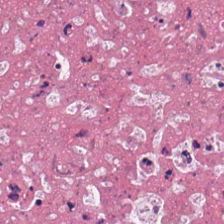H&E — necrotic debris.
